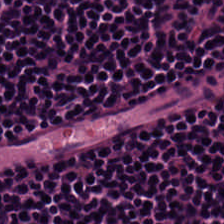H&E-stained tissue section — Tissue type: lymphocyte aggregate.
